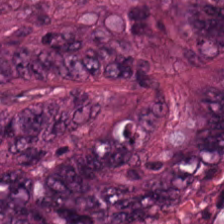H&E-stained tissue section — Q: What does this patch show?
A: It is extracellular mucin.
